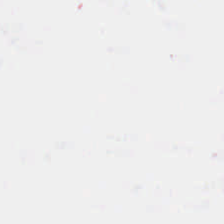Histology → background (no tissue).
